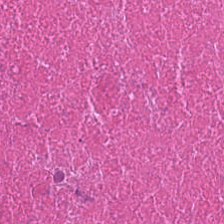224×224 px tile. FFPE tissue section. Hematoxylin and eosin.
Predominantly necrotic debris.
